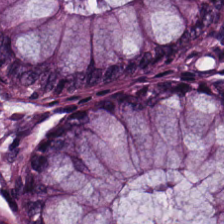H&E. Tissue type = non-neoplastic colon mucosa.
